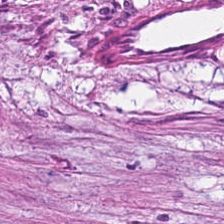Hematoxylin-and-eosin stained section — Cancer-associated stroma.
